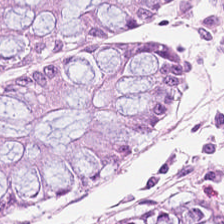Classification: non-neoplastic colon mucosa.
